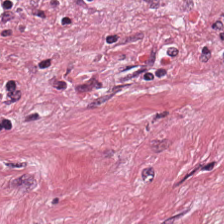Stain: hematoxylin and eosin.
Tissue class: tumor-associated stroma.
